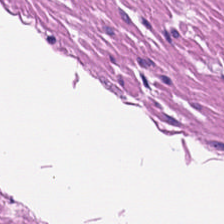224×224 pixel tile · H&E — Q: What is shown here?
A: Muscularis.
